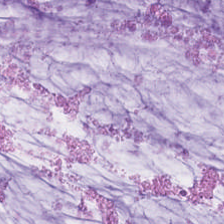H&E — Q: What tissue type is shown here?
A: It is mucin.
